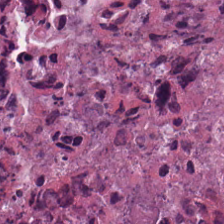224×224 px patch. H&E stain — Classification: cellular debris.
